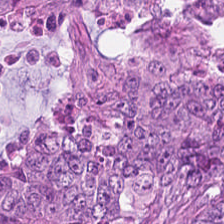{"tissue_type": "tumor epithelium"}
